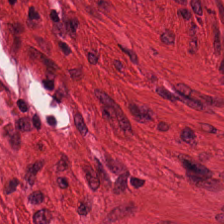H&E · brightfield microscopy — Q: What tissue is shown?
A: Smooth-muscle tissue.
